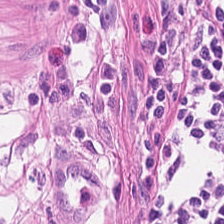Stain: hematoxylin and eosin.
Tissue type: smooth muscle.
